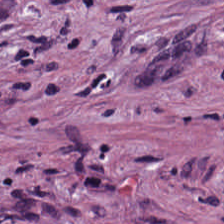0.5 microns per pixel; hematoxylin and eosin — Tumor stroma.
